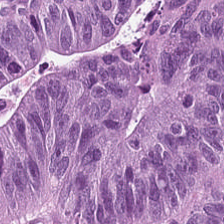Formalin-fixed paraffin-embedded section · H&E — This patch shows colorectal adenocarcinoma epithelium.
